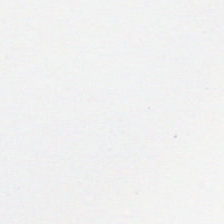H&E stain. No tissue present; background only.
